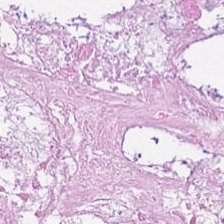Hematoxylin and eosin — Impression → debris.
